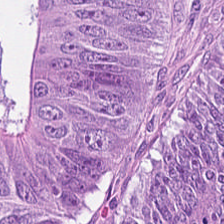Formalin-fixed paraffin-embedded section. 0.5 µm/px. H&E.
Showing malignant epithelium.
